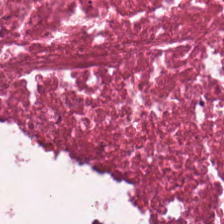0.5 µm per pixel. 224×224 px patch. Hematoxylin and eosin — Necrotic debris.
